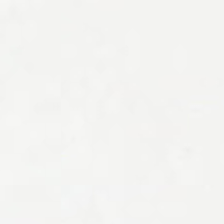{"content": "background (no tissue)"}
